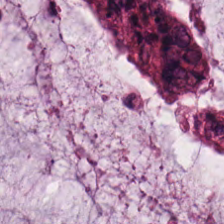H&E.
Tissue = extracellular mucin.
